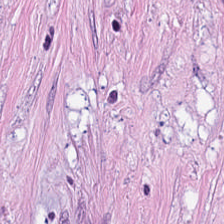Hematoxylin-and-eosin stained section — Q: What tissue is shown?
A: It is cancer-associated stroma.
